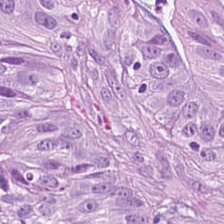224×224 pixel tile; whole-slide-image patch; H&E stain.
Predominantly colorectal adenocarcinoma epithelium.
